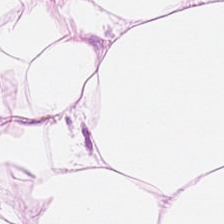Formalin-fixed paraffin-embedded section; 224×224 px tile; hematoxylin-and-eosin stained section — Adipose.
